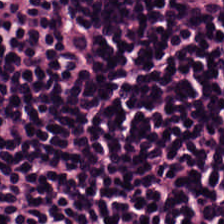Hematoxylin-and-eosin stained section — {"tissue_type": "lymphocytes"}
